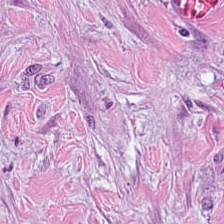The classification is tumor stroma.
